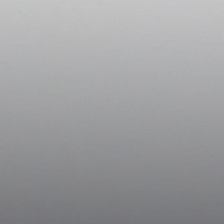Stain: H&E-stained tissue section.
Field content: no tissue.
